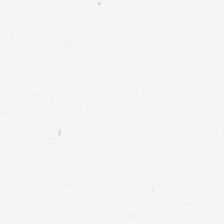Classification — background (no tissue).
